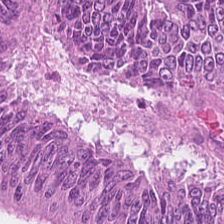H&E stain. Q: What tissue is shown?
A: This is adenocarcinoma.
